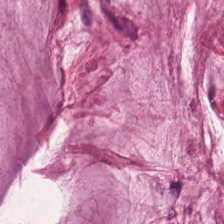FFPE; hematoxylin and eosin.
The predominant tissue is extracellular mucin.
